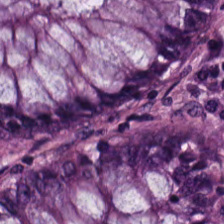H&E.
Non-neoplastic colon mucosa.
